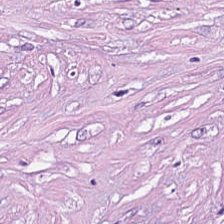Hematoxylin-and-eosin stained section. Tissue class: desmoplastic stroma.
